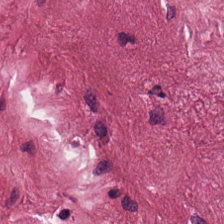H&E-stained tissue section. The predominant tissue is cancer-associated stroma.
